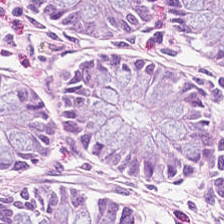The tissue is non-neoplastic colon mucosa.
